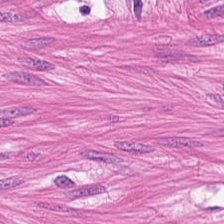Hematoxylin and eosin · 224×224 px patch.
Tissue class: smooth-muscle tissue.
